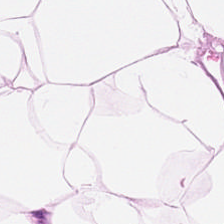H&E-stained section; the field shows adipose.
